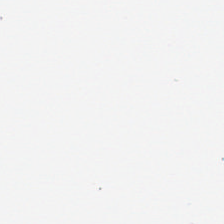Stain: hematoxylin and eosin.
Tile size: 224×224 px tile.
Acquisition: brightfield.
Classification: background.
